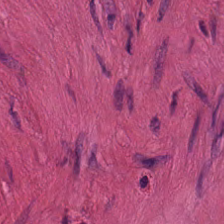H&E-stained tissue section. Histology — muscularis.
